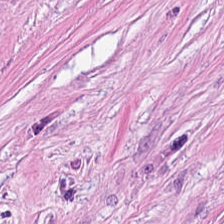Tissue class: cancer-associated stroma.
